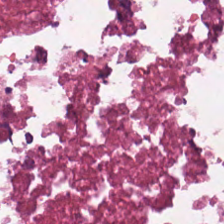Hematoxylin-and-eosin stained section — Q: What does this patch show?
A: This is necrotic debris.
